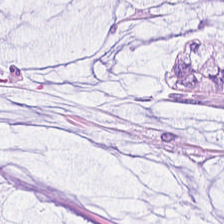0.5 microns per pixel. Hematoxylin and eosin. FFPE — The tissue class is extracellular mucin.
